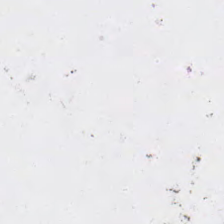Hematoxylin and eosin.
This field is background (no tissue).
